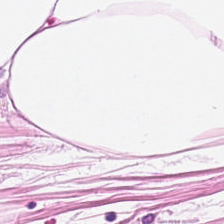Hematoxylin and eosin. WSI patch.
Showing adipocytes.
